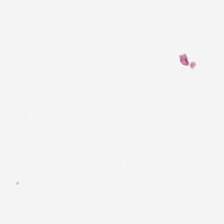Stain: hematoxylin and eosin.
Resolution: 0.5 µm per pixel.
Tile size: 224×224 pixel tile.
Classification: background (no tissue).
